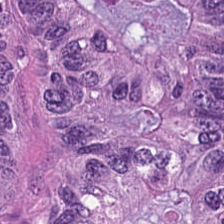H&E stain · 224×224 px tile. Tissue class — tumor epithelium.
